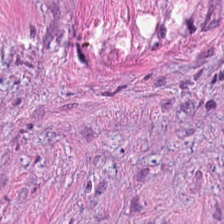0.5 µm/px · H&E stain — Finding — desmoplastic stroma.
